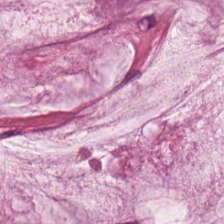H&E stain. Brightfield microscopy. {"tissue_type": "extracellular mucin"}
